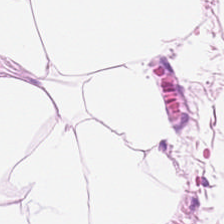Hematoxylin and eosin — Q: What tissue is shown?
A: It is adipocytes.
